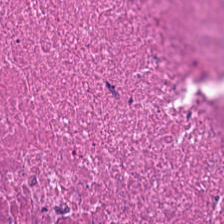0.5 µm per pixel; formalin-fixed paraffin-embedded section; hematoxylin and eosin — Tissue — debris.
